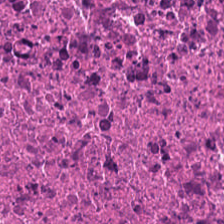224×224 px patch · hematoxylin and eosin · WSI patch.
{"tissue_type": "cellular debris"}
